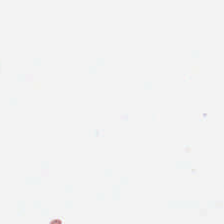H&E stain. Background — no tissue in this field.
